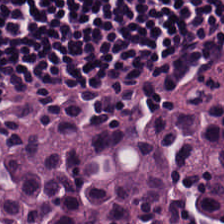H&E stain — Q: What does this patch show?
A: Lymphocyte aggregate.
